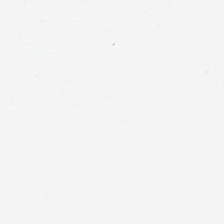H&E stain — Classification: background (no tissue).
